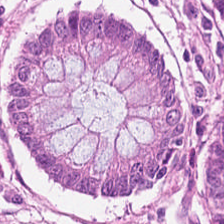Hematoxylin and eosin.
Q: What is the predominant tissue type?
A: Normal colon mucosa.
